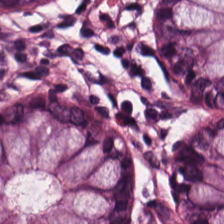Stain: H&E stain.
Tissue type: benign colonic mucosa.
